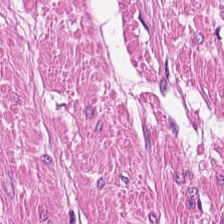FFPE. H&E. The classification is smooth muscle.
